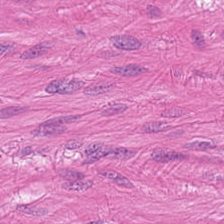224×224 px tile. FFPE tissue section. Hematoxylin-and-eosin stained section — Muscularis.
